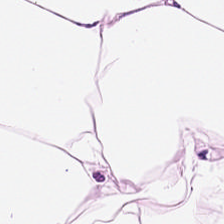Hematoxylin-and-eosin stained section. Showing fat tissue.
